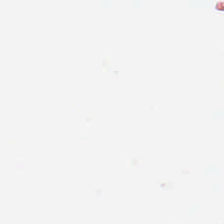H&E-stained tissue section.
{"content": "background"}
